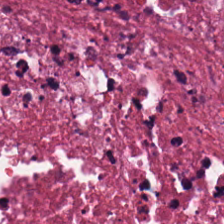Necrotic debris.
